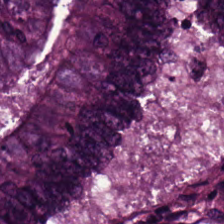H&E — Q: What is the predominant tissue type?
A: It is adenocarcinoma.
